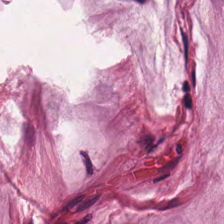H&E — Extracellular mucin.
